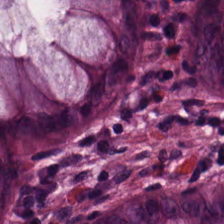H&E-stained tissue section — Predominantly normal colonic mucosa.
